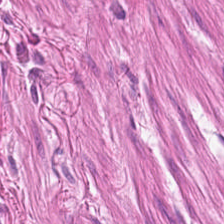H&E — Predominantly smooth-muscle tissue.
